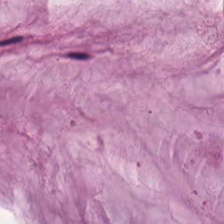H&E.
Showing extracellular mucin.
